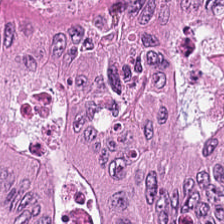Tissue class: malignant epithelium.
